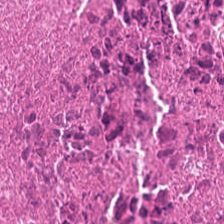The predominant tissue is necrotic debris.
